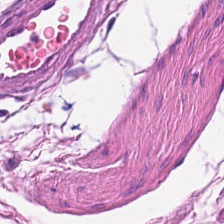Hematoxylin and eosin; 224×224 px patch; 0.5 microns per pixel. Predominant tissue = muscularis.
